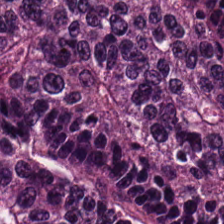H&E stain. Q: What is shown here?
A: It is tumor epithelium.
